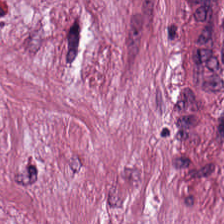Hematoxylin-and-eosin stained section — {"tissue_type": "cancer-associated stroma"}
